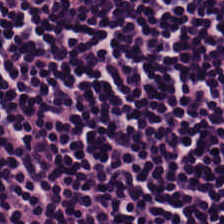Hematoxylin-and-eosin stained section.
Predominant tissue — lymphocytes.
